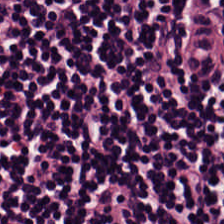Predominant tissue: lymphocytic infiltrate.
